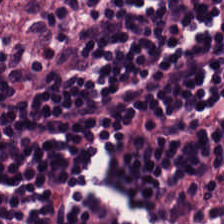The predominant tissue is lymphocytes.
